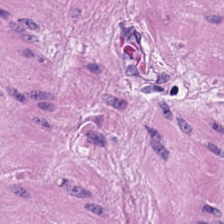H&E stain; WSI patch. Q: What is shown here?
A: This is smooth-muscle tissue.
